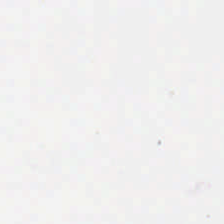H&E · 0.5 µm/px · 224×224 pixel tile — Impression — background.
